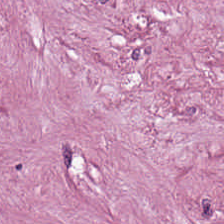The tissue here is desmoplastic stroma.
